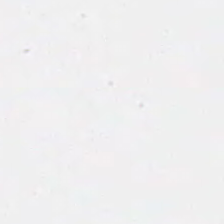Hematoxylin-and-eosin stained section. Q: Classify this patch.
A: This is background.
